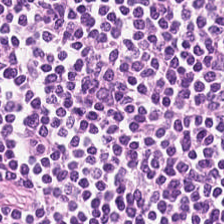WSI patch. Hematoxylin-and-eosin stained section — Finding → lymphoid infiltrate.
